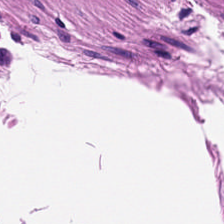Hematoxylin-and-eosin stained section — Smooth-muscle tissue.
